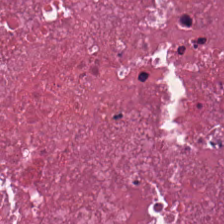Tissue: debris.
